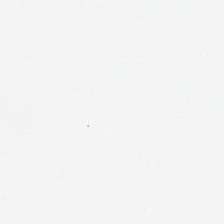Stain: H&E stain.
Field content: background.
